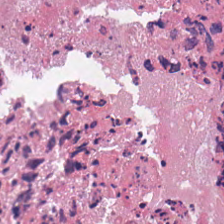Hematoxylin-and-eosin stained section. Q: What tissue type is shown here?
A: Debris.
